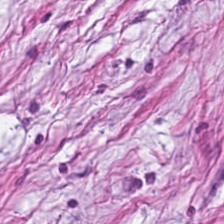224×224 pixel tile. 0.5 microns per pixel. Hematoxylin and eosin. The tissue here is tumor-associated stroma.
